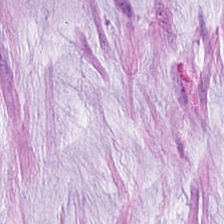Hematoxylin and eosin. The tissue here is mucus.
